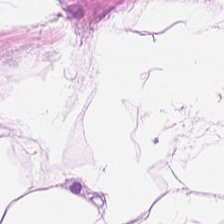Stain: H&E-stained tissue section.
Tissue type: adipose tissue.
